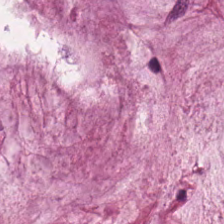Stain: H&E-stained tissue section.
Tile size: 224×224 px tile.
Preparation: FFPE tissue section.
Tissue class: mucin.
